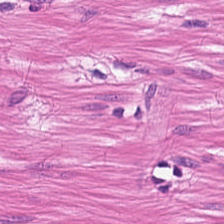Tissue type — muscularis.
